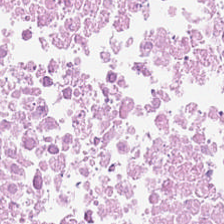224×224 px patch. 0.5 µm per pixel. H&E — Finding → cellular debris.
